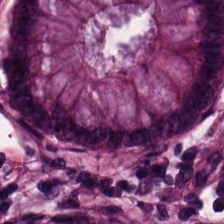0.5 µm/px. 224×224 pixel tile. Hematoxylin-and-eosin stained section. Showing normal colonic mucosa.
